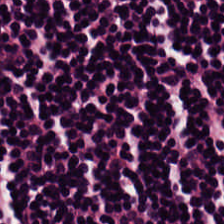Hematoxylin and eosin.
{"tissue_type": "lymphocyte aggregate"}
